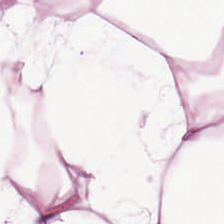FFPE tissue section. H&E stain. Adipose tissue.
